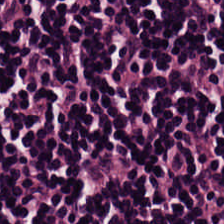H&E-stained tissue section — Tissue type = lymphocytic infiltrate.
